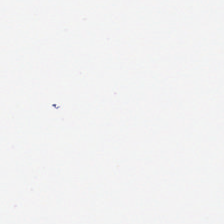Stain: hematoxylin-and-eosin stained section.
Classification: empty background.
